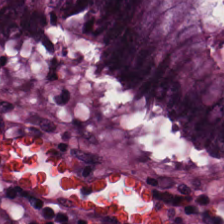FFPE tissue section. H&E stain. Q: Identify the tissue.
A: It is normal colonic mucosa.
